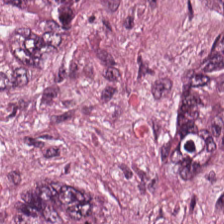H&E stain — Q: What type of tissue is this?
A: This is malignant epithelium.
